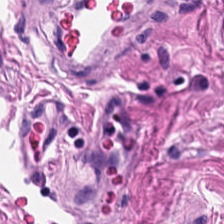Hematoxylin-and-eosin stained section.
Predominant tissue = smooth muscle.
